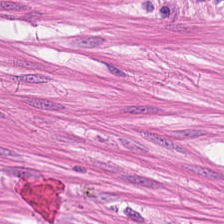Formalin-fixed paraffin-embedded section. Hematoxylin and eosin. 224×224 px tile. The tissue is smooth-muscle tissue.
